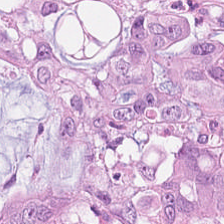H&E. Q: What is shown here?
A: Malignant epithelium.
